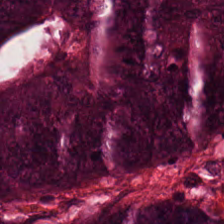Stain: hematoxylin-and-eosin stained section.
Acquisition: WSI patch.
Tissue: adenocarcinoma.
